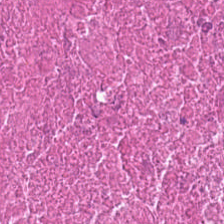20× equivalent magnification · H&E-stained tissue section.
The predominant tissue is necrotic debris.
